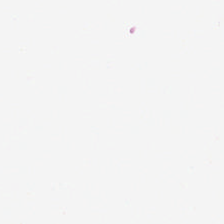H&E. Impression — background.
